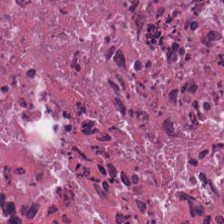H&E-stained tissue section. 224×224 pixel tile. Q: Classify this patch.
A: This is debris.
